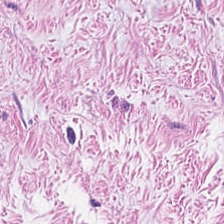0.5 µm/px; H&E.
The predominant tissue is muscularis.
